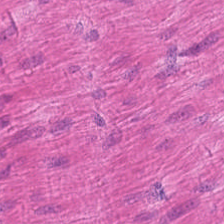H&E-stained tissue section · FFPE. This patch shows smooth muscle.
